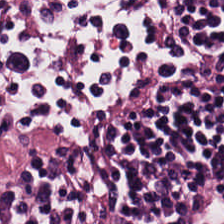224×224 pixel tile. Hematoxylin and eosin. Whole-slide-image patch — Predominant tissue — lymphocytes.
